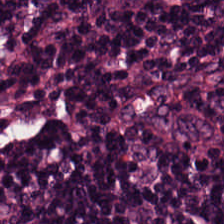Hematoxylin and eosin.
Predominant tissue — lymphocytic infiltrate.
